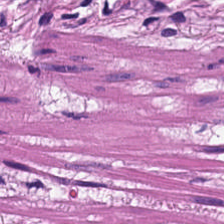0.5 µm/px · hematoxylin-and-eosin stained section · 224×224 px tile.
Tissue = muscularis.
